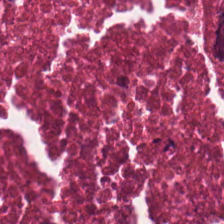H&E stain. Tissue type: debris.
